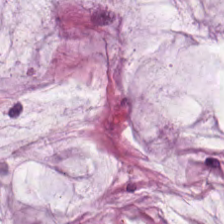FFPE tissue section. H&E stain — This field is mucin.
